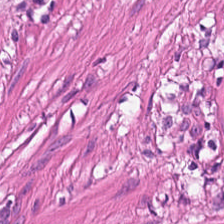Hematoxylin-and-eosin stained section. Muscularis.
